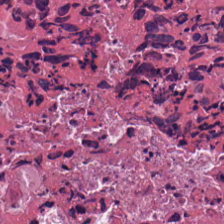FFPE · H&E stain.
Q: Identify the tissue.
A: It is debris.
